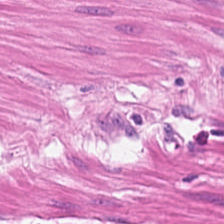The tissue class is smooth muscle.
